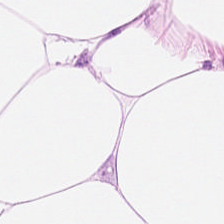Formalin-fixed paraffin-embedded section. WSI patch. Hematoxylin-and-eosin stained section.
{"tissue_type": "fat tissue"}
